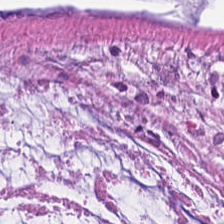Stain: hematoxylin and eosin.
Tissue: mucus.
